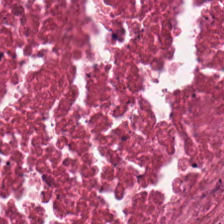WSI patch. H&E stain. Q: What is shown here?
A: The field shows debris.
